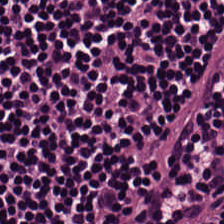Q: What tissue type is shown here?
A: This is lymphocyte aggregate.
